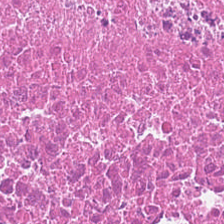Hematoxylin and eosin.
Predominantly debris.
